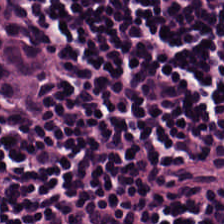Hematoxylin-and-eosin stained section — The tissue here is lymphocytes.
